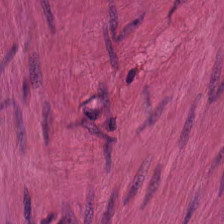FFPE · H&E.
Predominantly smooth-muscle tissue.
